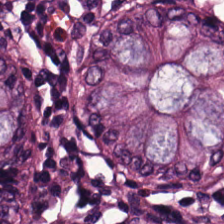FFPE tissue section. WSI patch. Hematoxylin and eosin.
{"tissue_type": "benign colonic mucosa"}
